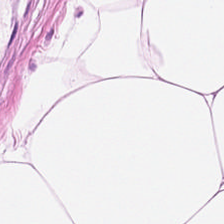Finding — adipose.
